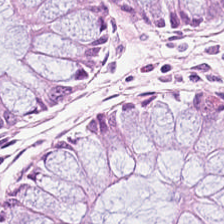This field is normal colon mucosa.
